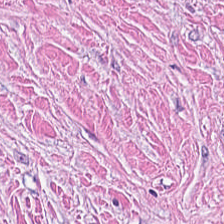Histology — cancer-associated stroma.
